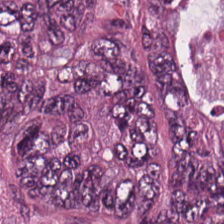Stain: H&E stain.
Preparation: formalin-fixed paraffin-embedded section.
Classification: malignant epithelium.
